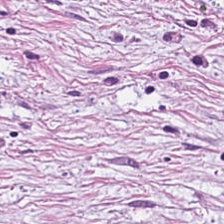FFPE; H&E. Q: What tissue is shown?
A: The field shows cancer-associated stroma.
